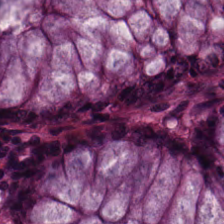H&E — The predominant tissue is normal colonic mucosa.
